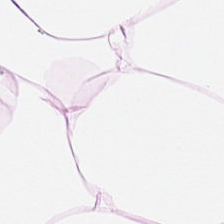H&E.
Predominantly fat tissue.
